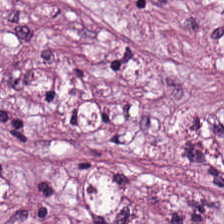224×224 px patch; hematoxylin-and-eosin stained section. Q: What is shown here?
A: It is desmoplastic stroma.
